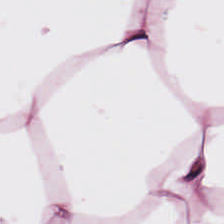224×224 px tile. Hematoxylin-and-eosin stained section. This field is fat tissue.
